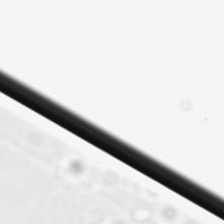Stain: H&E.
Resolution: 20× equivalent magnification.
Tile size: 224×224 pixel tile.
Classification: background (no tissue).
